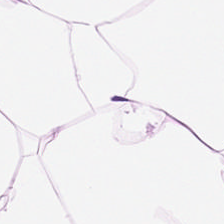FFPE · 0.5 µm/px · H&E stain. Showing adipocytes.
